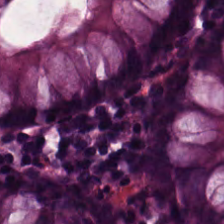Stain: hematoxylin and eosin.
Tissue: normal colon mucosa.
